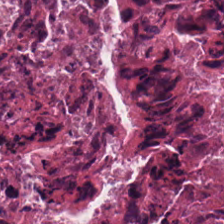Stain: hematoxylin and eosin.
Classification: cellular debris.
